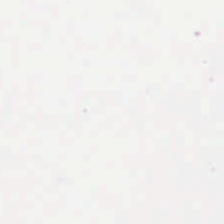H&E-stained tissue section — Classification — no tissue.
